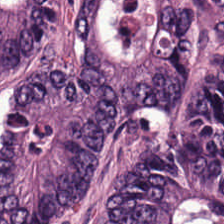H&E. 224×224 px patch. The predominant tissue is tumor epithelium.
